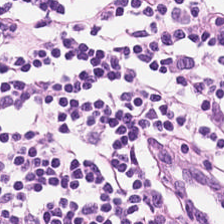FFPE tissue section; H&E-stained tissue section; 0.5 µm/px — The tissue here is lymphocyte aggregate.
